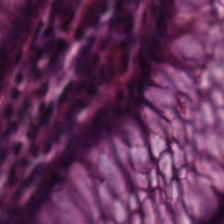Q: What is the predominant tissue type?
A: The field shows non-neoplastic colon mucosa.
